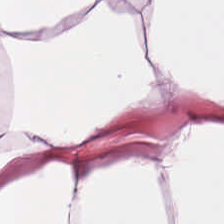Adipose.
